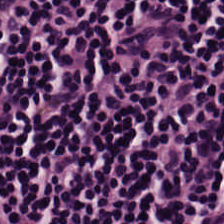H&E.
Predominant tissue — lymphocytic infiltrate.
